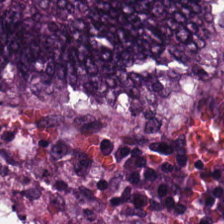H&E-stained tissue section.
The predominant tissue is tumor epithelium.
